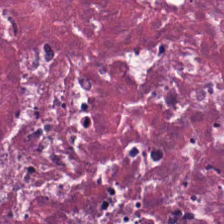Stain: H&E.
Tissue class: necrotic debris.
